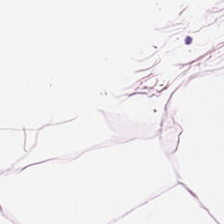Hematoxylin and eosin · FFPE · WSI patch.
Predominantly adipose tissue.
